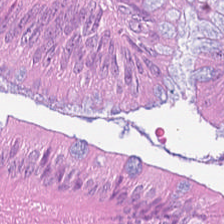H&E stain — Showing adenocarcinoma.
